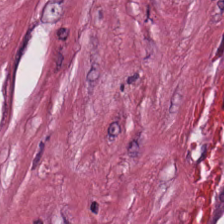H&E stain. 224×224 px tile — Classification = cancer-associated stroma.
